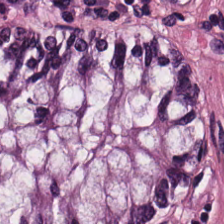H&E stain — Classification: non-neoplastic colon mucosa.
